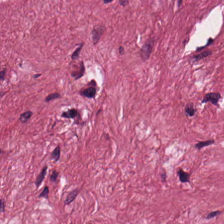FFPE tissue section; H&E; 224×224 px tile. Showing cancer-associated stroma.
